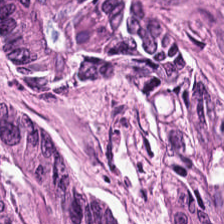Hematoxylin-and-eosin section: tumor epithelium.
